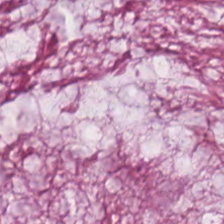Brightfield microscopy. Hematoxylin-and-eosin stained section. The predominant tissue is mucus.
